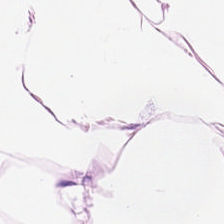0.5 microns per pixel; H&E — Adipocytes.
